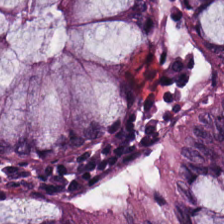Hematoxylin-and-eosin stained section — Tissue = non-neoplastic colon mucosa.
